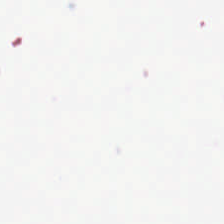H&E — The content is background (no tissue).
